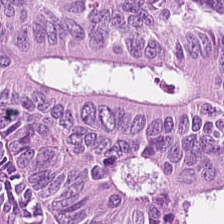Stain: hematoxylin and eosin.
Resolution: 0.5 microns per pixel.
Preparation: FFPE.
Predominant tissue: malignant epithelium.
